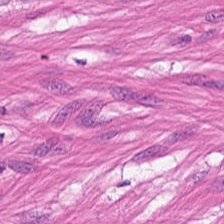FFPE. Hematoxylin and eosin. Q: What is shown here?
A: It is smooth-muscle tissue.
